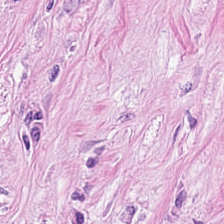Hematoxylin-and-eosin stained section; formalin-fixed paraffin-embedded section; brightfield.
Tissue class — tumor-associated stroma.
